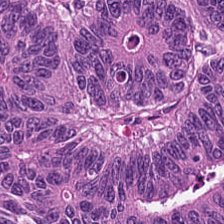Hematoxylin and eosin. Formalin-fixed paraffin-embedded section — Tissue type: colorectal adenocarcinoma.
